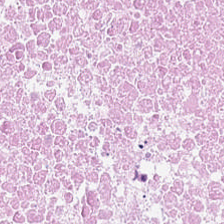Stain: H&E.
Tissue type: necrotic debris.
